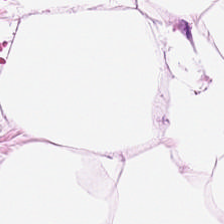Hematoxylin-and-eosin stained section · 0.5 microns per pixel.
Q: What is shown in this field?
A: It is adipose tissue.
